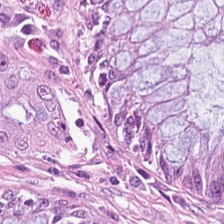FFPE tissue section. Hematoxylin and eosin. The tissue here is normal colon mucosa.
